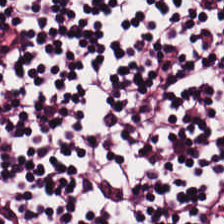0.5 µm/px; H&E stain; FFPE tissue section — Showing lymphoid infiltrate.
